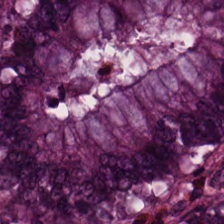Hematoxylin and eosin.
Classification = normal colon mucosa.
